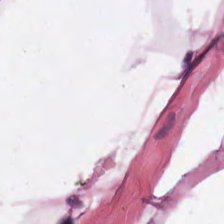Hematoxylin-and-eosin stained section. Impression → fat tissue.
